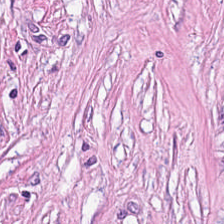H&E. {"tissue_type": "tumor-associated stroma"}
